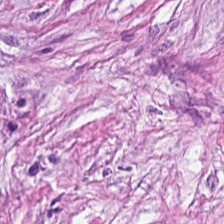The tissue here is cancer-associated stroma.
